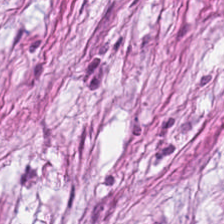FFPE tissue section; H&E-stained tissue section.
Finding — desmoplastic stroma.
